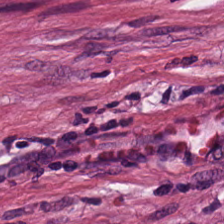Q: Identify the tissue.
A: Tumor-associated stroma.
